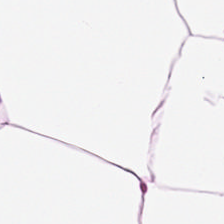The classification is adipocytes.
